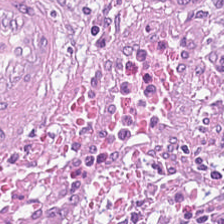The tissue type is tumor-associated stroma.
